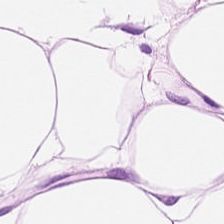H&E.
Q: Identify the tissue.
A: This is adipose tissue.
